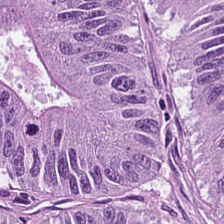H&E. Formalin-fixed paraffin-embedded section.
Q: What tissue type is shown here?
A: Tumor epithelium.
